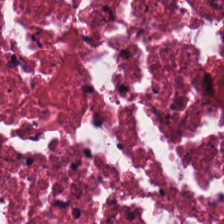Showing cellular debris.
